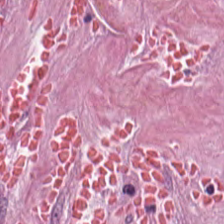H&E stain.
The predominant tissue is cancer-associated stroma.
